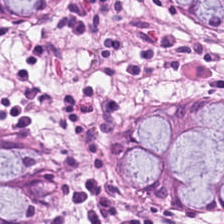Classification — benign colonic mucosa.
